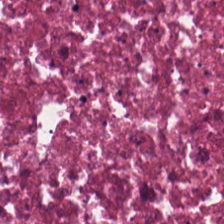Stain: hematoxylin and eosin.
Tissue: necrotic debris.
